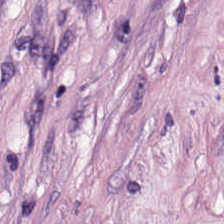Formalin-fixed paraffin-embedded section; H&E — The predominant tissue is desmoplastic stroma.
